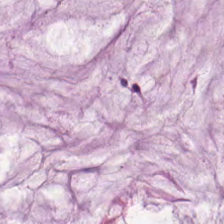0.5 µm per pixel. FFPE tissue section. H&E stain — Tissue — mucus.
